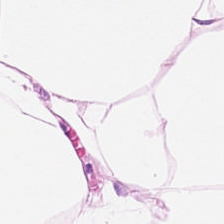Stain: H&E-stained tissue section.
Tile size: 224×224 pixel tile.
Predominant tissue: adipocytes.
